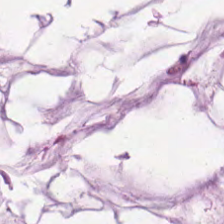H&E-stained section; the field shows mucus.
